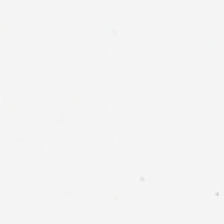224×224 px patch · H&E-stained tissue section — The content is empty background.
